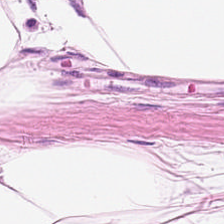H&E. 224×224 px patch. Tissue class = adipocytes.
